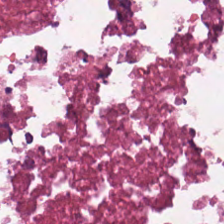Histology — debris.
